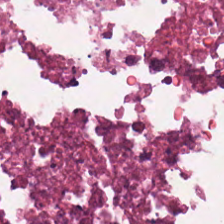H&E — The predominant tissue is necrotic debris.
